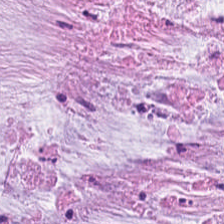Hematoxylin and eosin; 0.5 µm per pixel — The tissue here is mucus.
